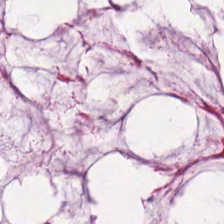224×224 pixel tile. 0.5 µm per pixel. H&E stain. Histology — extracellular mucin.
